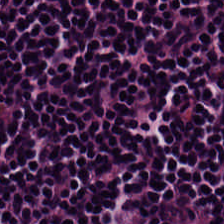H&E-stained tissue section. Predominantly lymphoid infiltrate.
